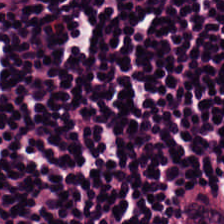H&E stain — Predominant tissue = lymphoid infiltrate.
